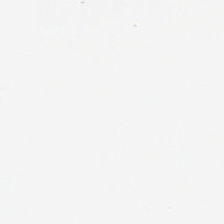Hematoxylin-and-eosin stained section.
Q: What does this patch show?
A: Empty background.
